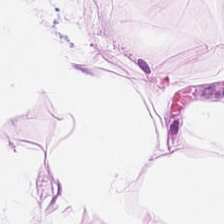H&E stain. This patch shows fat tissue.
